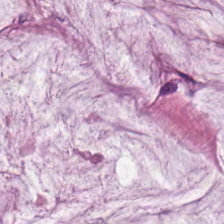Q: What does this patch show?
A: It is extracellular mucin.
